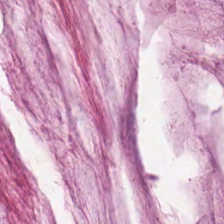Hematoxylin and eosin.
Finding — mucus.
